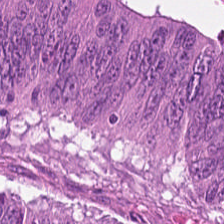Formalin-fixed paraffin-embedded section. H&E-stained tissue section.
This field is colorectal adenocarcinoma.
